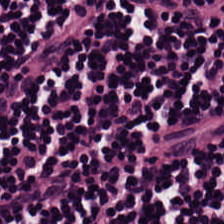H&E stain. Finding — lymphoid infiltrate.
